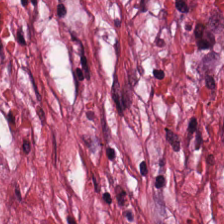H&E stain.
Showing tumor-associated stroma.
